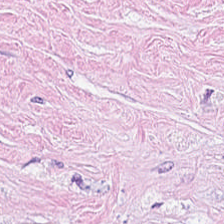20× equivalent magnification · brightfield · H&E. The tissue here is tumor stroma.
